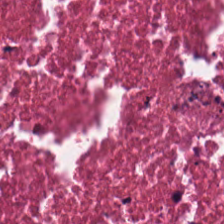Brightfield; hematoxylin-and-eosin stained section. {"tissue_type": "cellular debris"}
